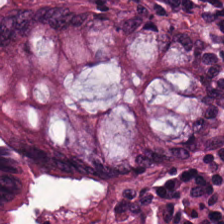Hematoxylin and eosin; brightfield.
The tissue here is non-neoplastic colon mucosa.
